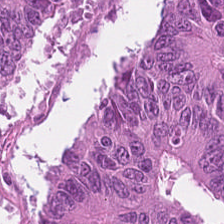Q: What is the predominant tissue type?
A: Colorectal adenocarcinoma.
